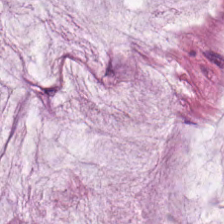224×224 px tile; H&E — The tissue type is mucin.
